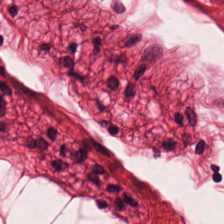0.5 µm/px · H&E-stained tissue section.
Predominant tissue: muscularis.
